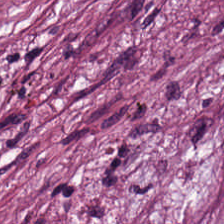Tissue — tumor stroma.
